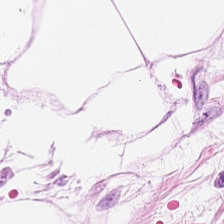H&E-stained tissue section. This patch shows adipose.
